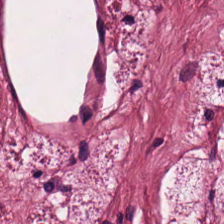20× equivalent magnification. H&E.
Showing tumor-associated stroma.
